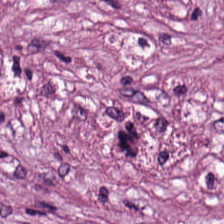H&E. Formalin-fixed paraffin-embedded section — Predominant tissue: tumor stroma.
